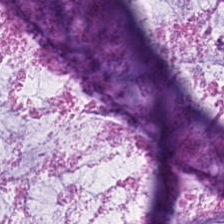Hematoxylin-and-eosin section: mucin.
